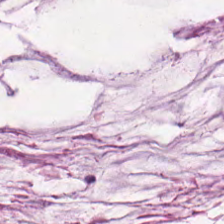H&E.
Q: What tissue is shown?
A: It is mucin.
